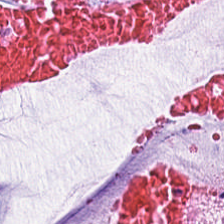H&E. This field is extracellular mucin.
